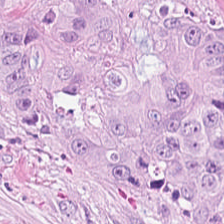H&E stain — The tissue here is tumor epithelium.
